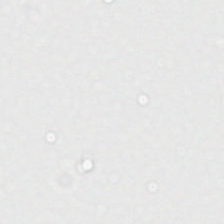This patch shows empty background.
